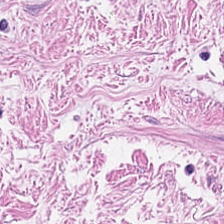H&E stain — Classification — muscularis.
